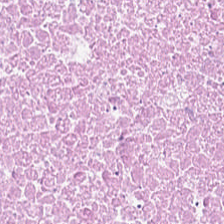Hematoxylin-and-eosin stained section. 20× equivalent magnification. This field is debris.
